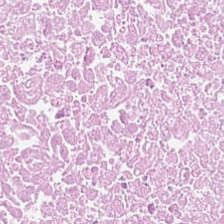H&E stain.
The predominant tissue is debris.
